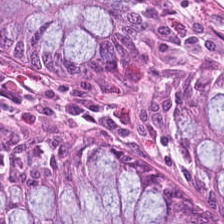Tissue — benign colonic mucosa.
